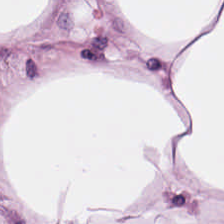Stain: hematoxylin and eosin.
Tissue: adipocytes.
